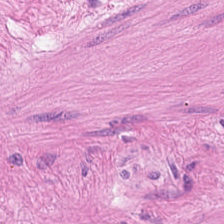Hematoxylin and eosin.
Predominant tissue = smooth-muscle tissue.
